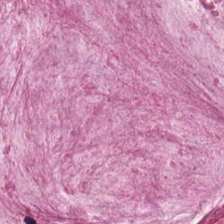The predominant tissue is mucin.
